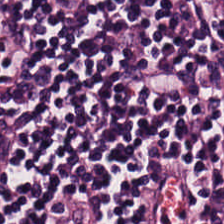Q: What is shown in this field?
A: This is lymphocytic infiltrate.
